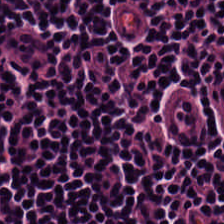Hematoxylin-and-eosin stained section. {"tissue_type": "lymphocytes"}
